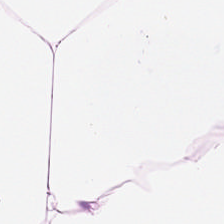H&E-stained tissue section; 224×224 pixel tile; 0.5 µm/px — Showing adipose tissue.
